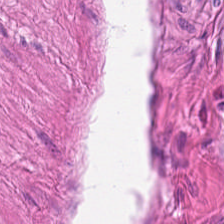Predominantly smooth muscle.
